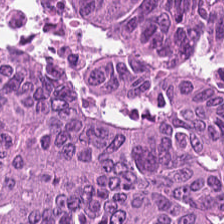Hematoxylin-and-eosin stained section; WSI patch; formalin-fixed paraffin-embedded section. Predominantly tumor epithelium.
